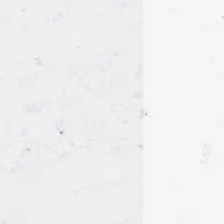Stain: hematoxylin and eosin.
Content: no tissue.
